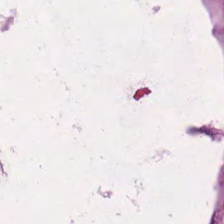H&E stain — Q: What does this patch show?
A: This is mucin.
